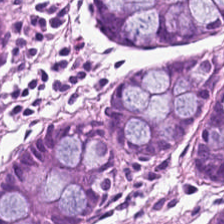H&E-stained tissue section. Tissue: non-neoplastic colon mucosa.
